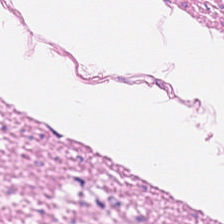0.5 µm/px; hematoxylin-and-eosin stained section; brightfield microscopy.
The tissue is muscularis.
